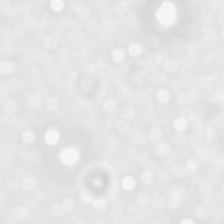The field content is no tissue.
